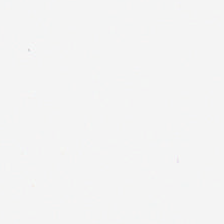Stain: H&E-stained tissue section.
Preparation: FFPE tissue section.
Acquisition: WSI patch.
Field content: no tissue.
